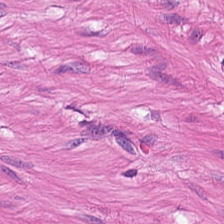Formalin-fixed paraffin-embedded section · H&E.
Q: What tissue type is shown here?
A: It is smooth-muscle tissue.
